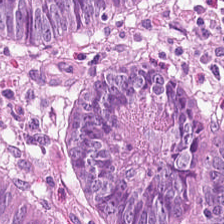Formalin-fixed paraffin-embedded section. Hematoxylin and eosin. 0.5 microns per pixel. Classification — malignant epithelium.
